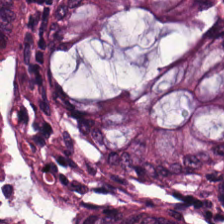H&E stain. The tissue here is normal colonic mucosa.
